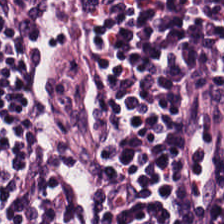H&E-stained tissue section. FFPE. Brightfield microscopy. {"tissue_type": "lymphocytes"}
